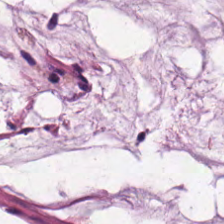H&E.
Predominantly mucus.
